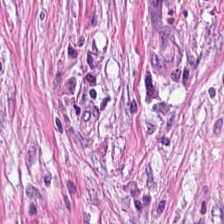H&E stain.
Q: What type of tissue is this?
A: This is tumor stroma.
